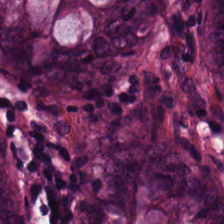H&E. Non-neoplastic colon mucosa.
